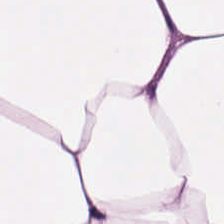Whole-slide-image patch. H&E.
Classification = adipose.
